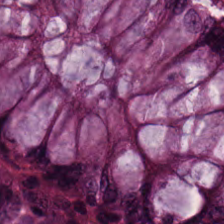224×224 px tile · WSI patch · H&E-stained tissue section. The tissue class is non-neoplastic colon mucosa.
